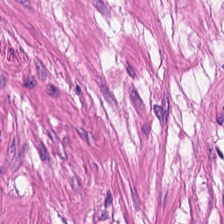Brightfield microscopy · H&E stain. The predominant tissue is smooth muscle.
